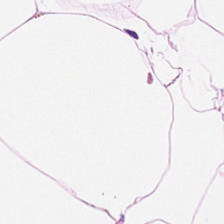H&E; 224×224 px tile. {"tissue_type": "adipose"}
